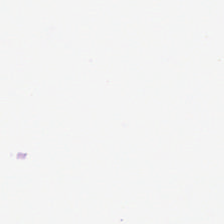H&E.
{"content": "no tissue"}
